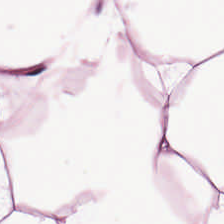H&E stain — Finding → fat tissue.
